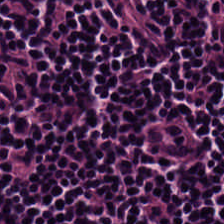224×224 pixel tile. 0.5 microns per pixel. H&E stain.
Classification: lymphocytic infiltrate.
